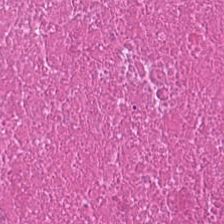FFPE. Hematoxylin-and-eosin stained section. 224×224 px tile — Predominantly necrotic debris.
